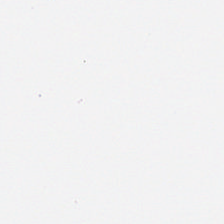Classification — background.
